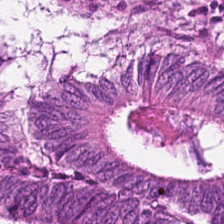Stain: H&E.
Tissue: colorectal adenocarcinoma epithelium.
